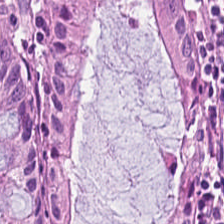Q: What does this patch show?
A: It is benign colonic mucosa.
